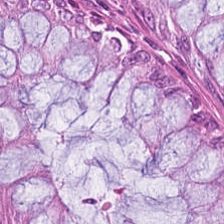224×224 px tile. Hematoxylin-and-eosin stained section.
Showing benign colonic mucosa.
